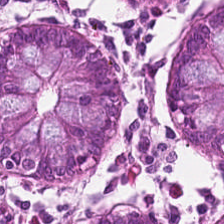Stain: H&E-stained tissue section.
Predominant tissue: normal colon mucosa.
